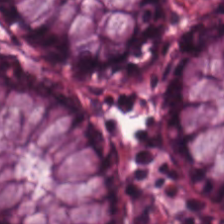H&E — The predominant tissue is non-neoplastic colon mucosa.
